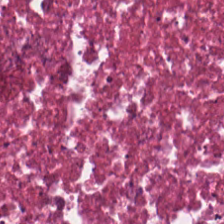H&E-stained tissue section — Q: What is shown in this field?
A: It is cellular debris.
